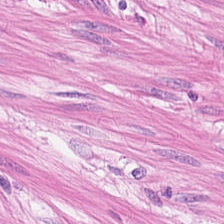Q: What is the predominant tissue type?
A: It is smooth-muscle tissue.
